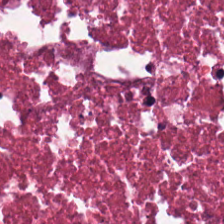H&E-stained tissue section; 20× equivalent magnification; FFPE.
Q: What is shown in this field?
A: The field shows debris.
